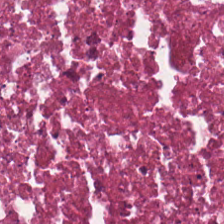H&E stain. Showing debris.
